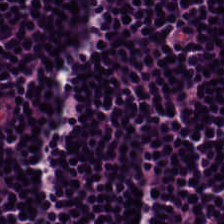Tissue type — lymphoid infiltrate.
